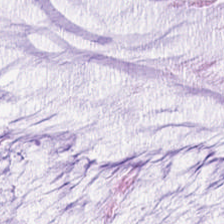H&E. This patch shows extracellular mucin.
